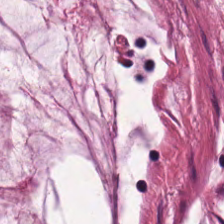H&E stain. Mucin.
